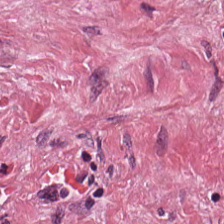{"tissue_type": "tumor-associated stroma"}
